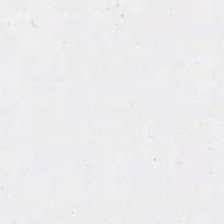WSI patch · hematoxylin-and-eosin stained section. Empty background.
